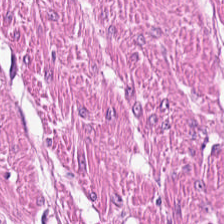FFPE · H&E stain — Tissue — smooth muscle.
